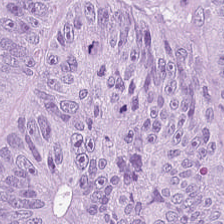Hematoxylin-and-eosin stained section.
Histology — tumor epithelium.
